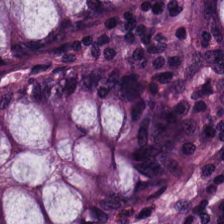Impression → benign colonic mucosa.
